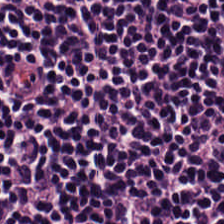0.5 µm/px; hematoxylin and eosin. Q: What type of tissue is this?
A: Lymphoid infiltrate.
